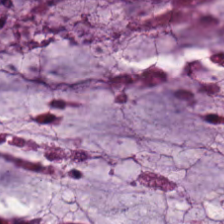H&E.
The tissue is extracellular mucin.
